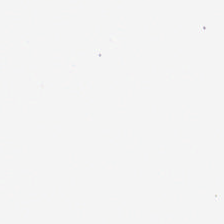This field is background (no tissue).
